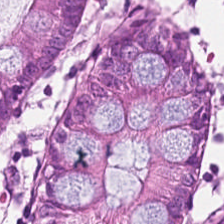Hematoxylin-and-eosin stained section — The tissue here is normal colonic mucosa.
